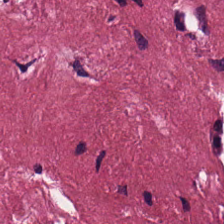Hematoxylin and eosin; formalin-fixed paraffin-embedded section.
Predominant tissue: tumor stroma.
